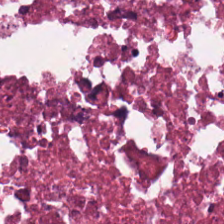Hematoxylin and eosin.
Classification = debris.
